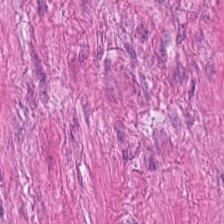FFPE tissue section · H&E.
The tissue here is muscularis.
